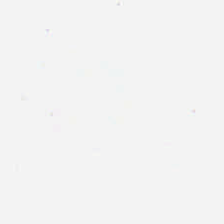H&E — Background — no tissue in this field.
